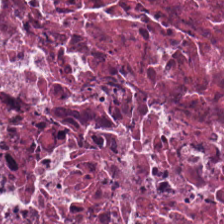Stain: hematoxylin-and-eosin stained section.
Predominant tissue: cellular debris.
